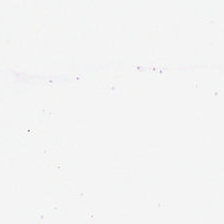Stain: hematoxylin-and-eosin stained section.
Content: no tissue.
